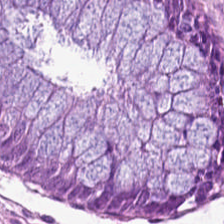H&E — Impression → normal colonic mucosa.
